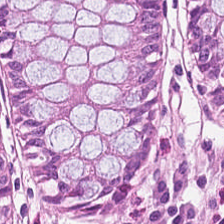H&E. 224×224 pixel tile. 0.5 µm per pixel — This patch shows normal colonic mucosa.
